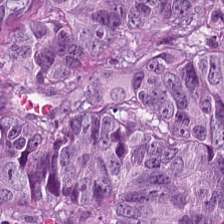H&E — Classification — colorectal adenocarcinoma.
